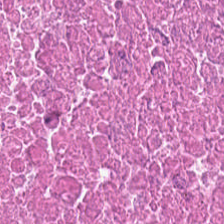Stain: H&E.
Acquisition: brightfield microscopy.
Classification: debris.
